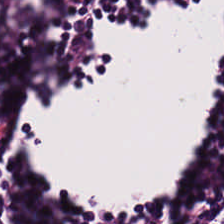Stain: H&E.
Predominant tissue: lymphocyte aggregate.
